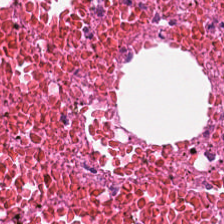Brightfield microscopy. Hematoxylin-and-eosin stained section.
Showing necrotic debris.
